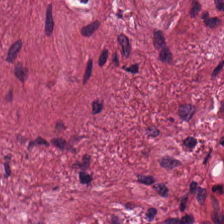H&E — cancer-associated stroma.
